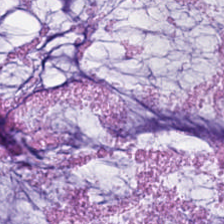This field is extracellular mucin.
